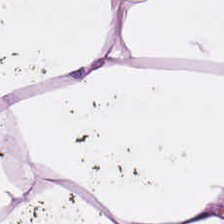Stain: H&E stain.
Tissue class: fat tissue.
